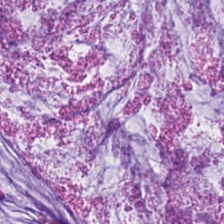H&E — Tissue class: mucin.
